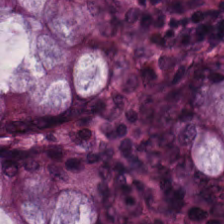FFPE. Hematoxylin-and-eosin stained section — Impression → benign colonic mucosa.
